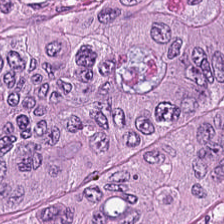H&E.
Adenocarcinoma.
